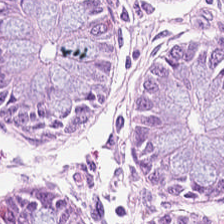H&E-stained tissue section. 224×224 px tile — Q: What tissue type is shown here?
A: The field shows normal colonic mucosa.
